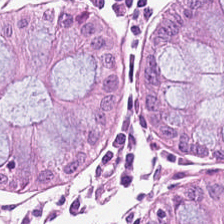H&E-stained tissue section · 0.5 microns per pixel — Q: What does this patch show?
A: The field shows normal colonic mucosa.
